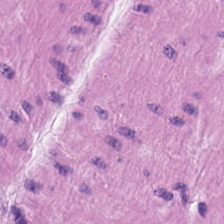20× equivalent magnification. Hematoxylin-and-eosin stained section. 224×224 px patch — Finding → smooth muscle.
